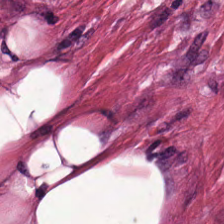H&E-stained tissue section.
Predominant tissue: desmoplastic stroma.
